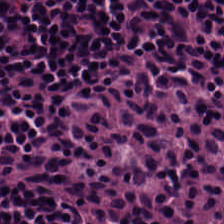Hematoxylin and eosin. Histology → lymphocyte aggregate.
